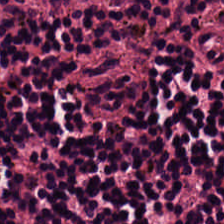H&E. 0.5 µm/px — {"tissue_type": "lymphocytic infiltrate"}
